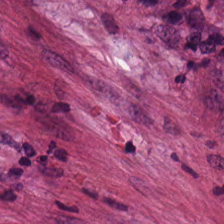H&E; 224×224 px tile; formalin-fixed paraffin-embedded section. The classification is cancer-associated stroma.
